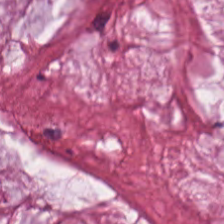Q: Classify this patch.
A: The field shows extracellular mucin.
